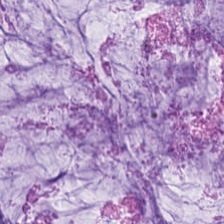H&E-stained tissue section. Mucin.
